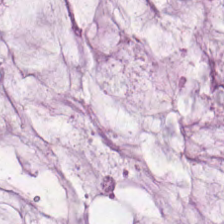H&E stain — Q: What tissue type is shown here?
A: The field shows mucin.
